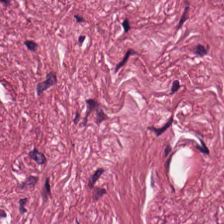H&E-stained tissue section. This patch shows cancer-associated stroma.
